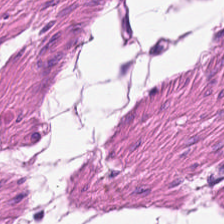H&E-stained tissue section · FFPE tissue section.
Impression → smooth muscle.
